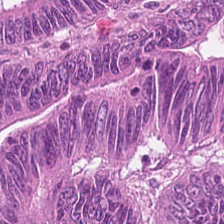Brightfield microscopy. H&E-stained tissue section. FFPE.
Finding → colorectal adenocarcinoma.
